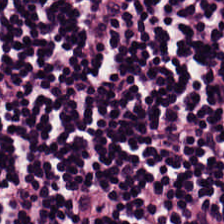H&E-stained tissue section · FFPE.
Tissue: lymphocytes.
